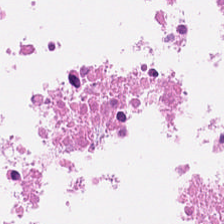H&E. 0.5 µm per pixel. Q: What is shown here?
A: This is necrotic debris.
